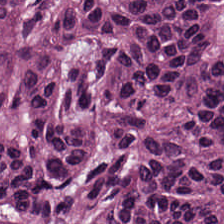0.5 µm per pixel · hematoxylin and eosin · 224×224 px tile. Q: What is shown here?
A: Tumor epithelium.
